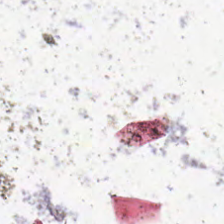Hematoxylin and eosin.
Field content = no tissue.
